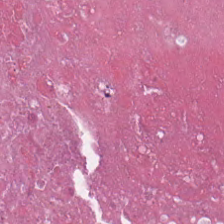Hematoxylin-and-eosin stained section.
The tissue class is cellular debris.
